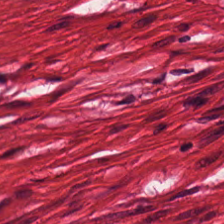Hematoxylin-and-eosin stained section; formalin-fixed paraffin-embedded section — Showing smooth-muscle tissue.
